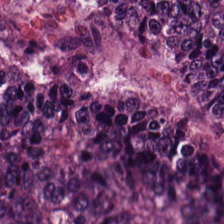The tissue type is colorectal adenocarcinoma epithelium.
